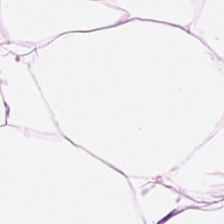Finding — adipocytes.
